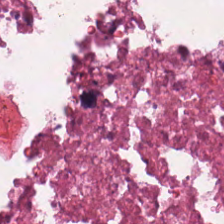Stain: H&E-stained tissue section.
Classification: necrotic debris.
